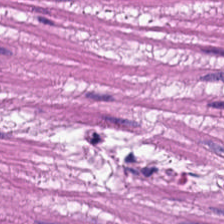0.5 microns per pixel; hematoxylin and eosin; 224×224 pixel tile. Predominantly smooth muscle.
